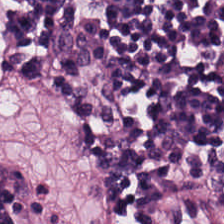20× equivalent magnification · whole-slide-image patch · hematoxylin and eosin.
Tissue: lymphoid infiltrate.
